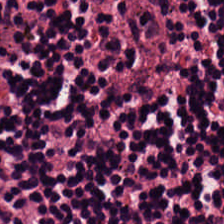Hematoxylin-and-eosin stained section — Q: Identify the tissue.
A: Lymphocytes.
